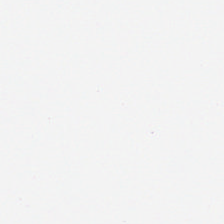Hematoxylin-and-eosin stained section — Classification: background (no tissue).
